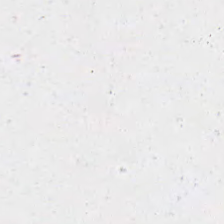No tissue present; background only.
